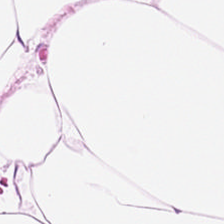Hematoxylin-and-eosin stained section · brightfield.
Showing fat tissue.
